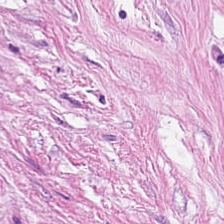{"tissue_type": "cancer-associated stroma"}
